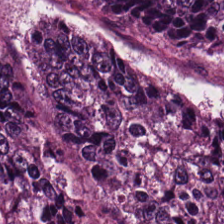H&E-stained tissue section; formalin-fixed paraffin-embedded section; WSI patch.
Tissue = colorectal adenocarcinoma epithelium.
